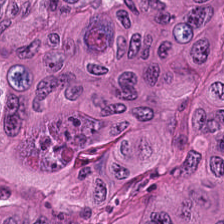224×224 px patch · hematoxylin-and-eosin stained section — Colorectal adenocarcinoma epithelium.
